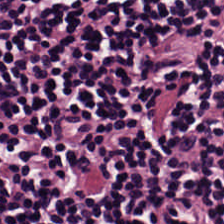H&E stain — Classification = lymphocyte aggregate.
